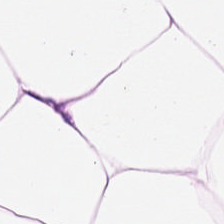Stain: hematoxylin-and-eosin stained section.
Classification: adipose tissue.
